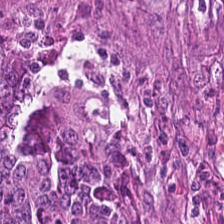Hematoxylin-and-eosin stained section — The predominant tissue is colorectal adenocarcinoma.
